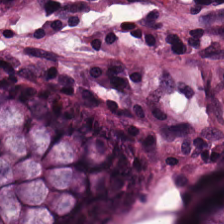Stain: H&E stain.
Tile size: 224×224 px tile.
Tissue class: benign colonic mucosa.
